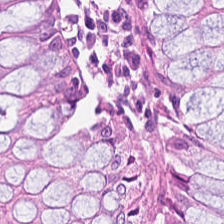H&E-stained tissue section.
The tissue here is normal colonic mucosa.
